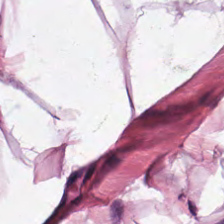Hematoxylin-and-eosin stained section.
Adipose tissue.
